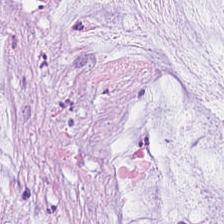Tissue class — mucin.
